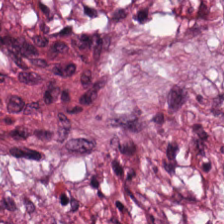H&E patch showing tumor-associated stroma.
